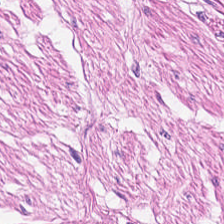224×224 px tile. H&E-stained tissue section.
Tissue class — smooth muscle.
